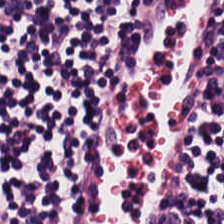Formalin-fixed paraffin-embedded section. Hematoxylin and eosin. Showing lymphocytic infiltrate.
